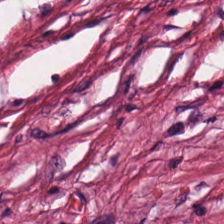Hematoxylin-and-eosin stained section; brightfield — Finding → cancer-associated stroma.
